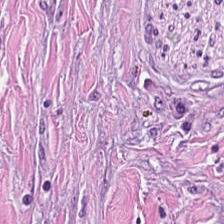The tissue here is desmoplastic stroma.
